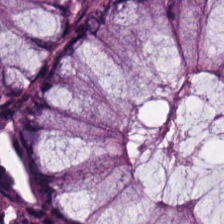H&E-stained tissue section — {"tissue_type": "benign colonic mucosa"}
